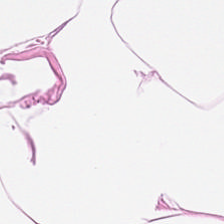H&E stain.
Q: What type of tissue is this?
A: The field shows adipose tissue.
